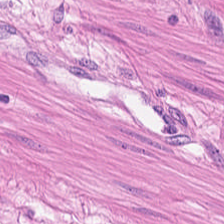Brightfield microscopy · FFPE tissue section · hematoxylin-and-eosin stained section.
Showing smooth-muscle tissue.
